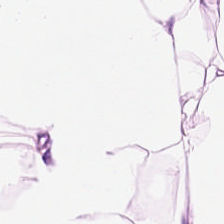H&E-stained tissue section showing adipose.
